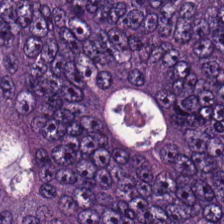H&E stain · 0.5 µm per pixel · brightfield microscopy — The tissue here is colorectal adenocarcinoma epithelium.
